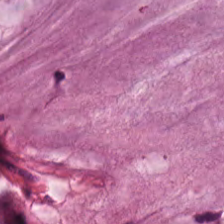Stain: H&E stain.
Tissue type: extracellular mucin.
